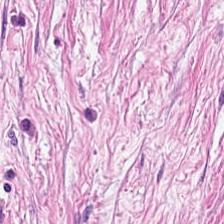Formalin-fixed paraffin-embedded section; H&E stain.
{"tissue_type": "tumor stroma"}
